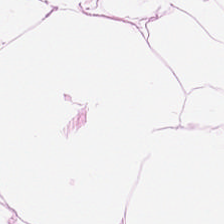H&E.
Impression — adipocytes.
